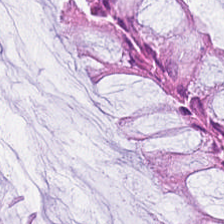H&E-stained tissue section. Brightfield. Showing non-neoplastic colon mucosa.
